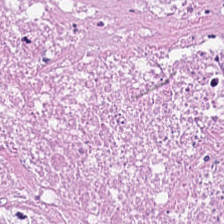Q: Identify the tissue.
A: This is debris.
